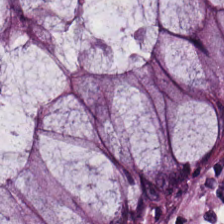H&E-stained tissue section · formalin-fixed paraffin-embedded section — Q: Identify the tissue.
A: This is benign colonic mucosa.
